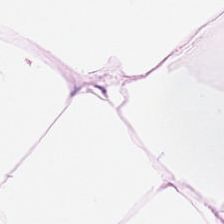H&E stain. Predominantly adipose tissue.
